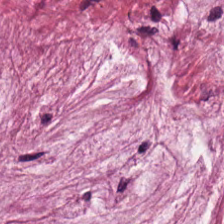The tissue here is mucus.
